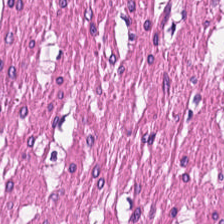Predominantly muscularis.
